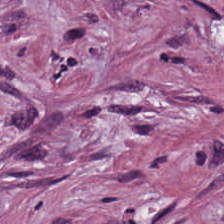Q: What type of tissue is this?
A: The field shows cancer-associated stroma.
